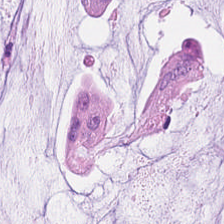Hematoxylin and eosin. Q: What tissue is shown?
A: The field shows mucus.
